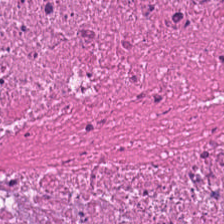H&E-stained tissue section showing debris.
